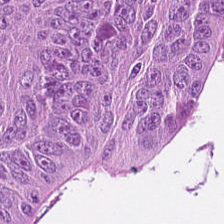Tissue — colorectal adenocarcinoma epithelium.
